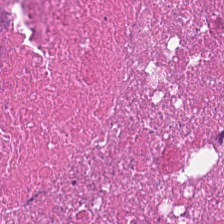Hematoxylin-and-eosin stained section · FFPE. This field is debris.
